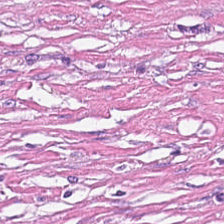224×224 pixel tile; hematoxylin-and-eosin stained section; 0.5 µm/px. Tissue class: tumor-associated stroma.
